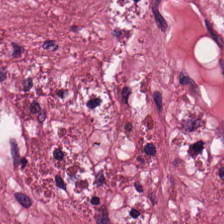Brightfield. H&E — Predominant tissue: tumor-associated stroma.
